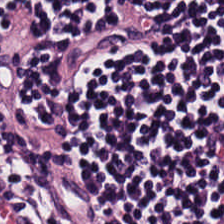Predominantly lymphocyte aggregate.
